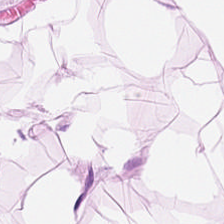Whole-slide-image patch. H&E stain.
Q: What does this patch show?
A: The field shows fat tissue.
